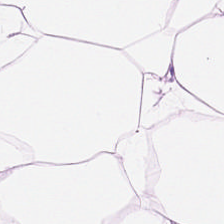H&E.
{"tissue_type": "adipose"}
